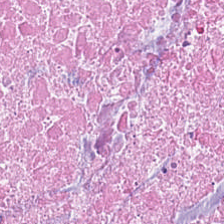Hematoxylin and eosin — Predominantly cellular debris.
